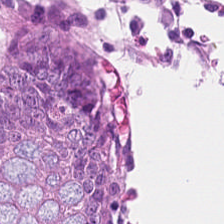H&E stain. Finding → benign colonic mucosa.
